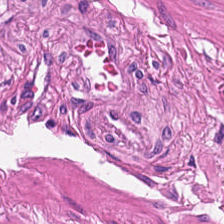Hematoxylin-and-eosin stained section.
Histology → smooth muscle.
